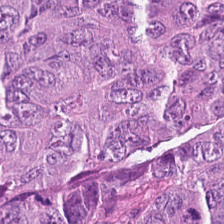Hematoxylin-and-eosin stained section — The predominant tissue is tumor epithelium.
